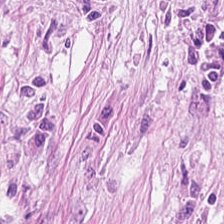H&E stain. Desmoplastic stroma.
